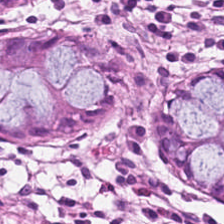Hematoxylin-and-eosin stained section — Tissue type — non-neoplastic colon mucosa.
